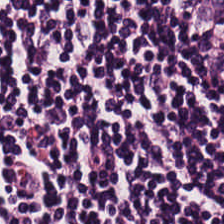Hematoxylin and eosin; 20× equivalent magnification; FFPE. The predominant tissue is lymphocytes.
